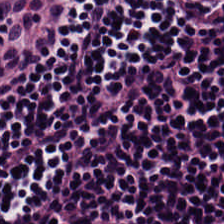0.5 µm/px; hematoxylin and eosin; WSI patch.
Tissue: lymphoid infiltrate.
